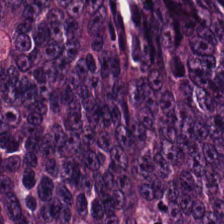Hematoxylin-and-eosin stained section.
Colorectal adenocarcinoma epithelium.
